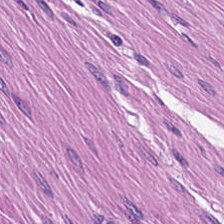H&E. The predominant tissue is smooth muscle.
